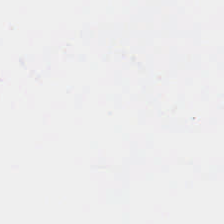Formalin-fixed paraffin-embedded section · H&E stain.
Q: What is shown in this field?
A: No tissue.
